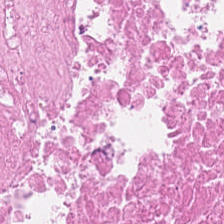Stain: H&E-stained tissue section.
Classification: necrotic debris.
